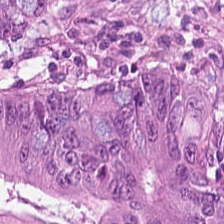The predominant tissue is tumor epithelium.
